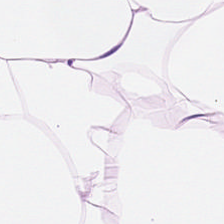H&E stain; 224×224 px patch — Q: What tissue type is shown here?
A: It is adipose.
